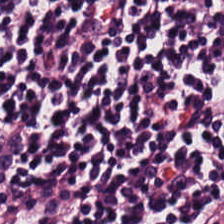Formalin-fixed paraffin-embedded section; hematoxylin-and-eosin stained section; 224×224 px tile — This patch shows lymphocytes.
